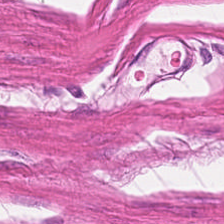H&E.
Q: What tissue type is shown here?
A: It is smooth muscle.
